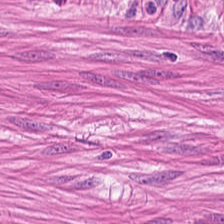Hematoxylin and eosin. WSI patch — Tissue class: smooth-muscle tissue.
